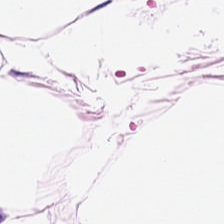H&E. Brightfield microscopy — Histology → fat tissue.
